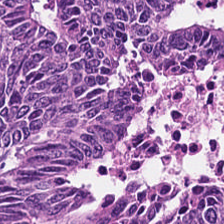Stain: hematoxylin-and-eosin stained section.
Resolution: 0.5 µm per pixel.
Tissue class: colorectal adenocarcinoma.
